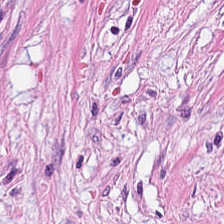224×224 px patch. FFPE. H&E stain. Histology — desmoplastic stroma.
